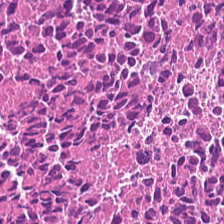Stain: H&E.
Predominant tissue: necrotic debris.
